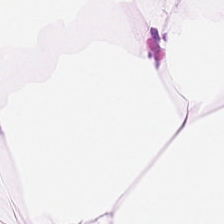H&E-stained tissue section.
{"tissue_type": "adipose"}
